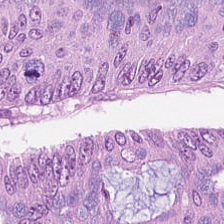Q: What is shown in this field?
A: The field shows malignant epithelium.
